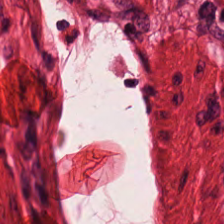{"tissue_type": "muscularis"}
